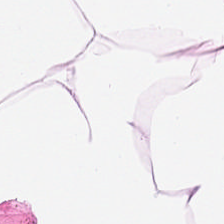Stain: hematoxylin and eosin.
Predominant tissue: adipose.
